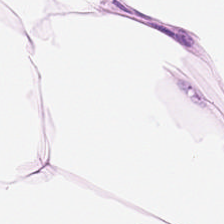Stain: H&E.
Tissue: adipose tissue.
